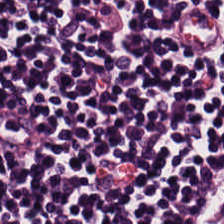Showing lymphocytes.
